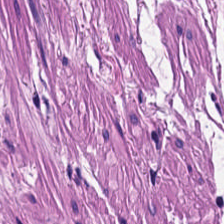Hematoxylin and eosin.
Showing smooth-muscle tissue.
